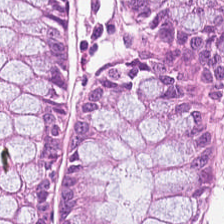Stain: H&E-stained tissue section.
Preparation: FFPE tissue section.
Resolution: 0.5 microns per pixel.
Tissue: normal colonic mucosa.
